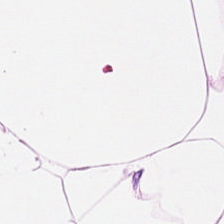Hematoxylin-and-eosin stained section; brightfield — Q: What is the predominant tissue type?
A: This is adipose tissue.
